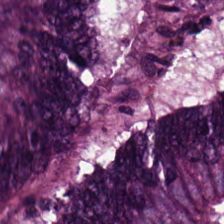Stain: hematoxylin and eosin.
Tissue class: colorectal adenocarcinoma epithelium.
